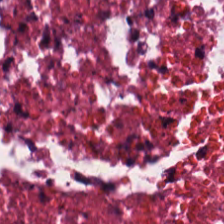Hematoxylin-and-eosin stained section. Tissue: necrotic debris.
